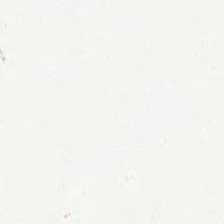H&E-stained tissue section; whole-slide-image patch — No tissue.
